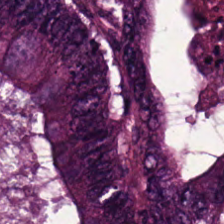Finding → colorectal adenocarcinoma.
